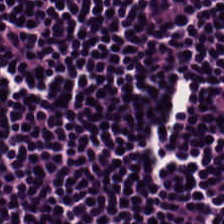Brightfield · H&E stain. Histology — lymphocytes.
